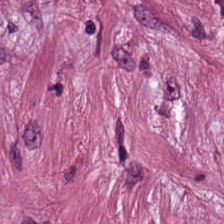H&E stain — Tissue class — tumor-associated stroma.
